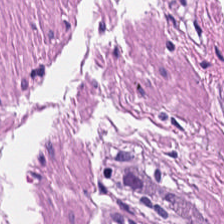H&E-stained tissue section. This patch shows muscularis.
